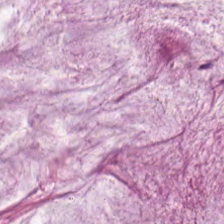Brightfield; hematoxylin and eosin.
Tissue: extracellular mucin.
